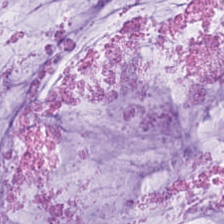Stain: H&E-stained tissue section.
Tissue type: extracellular mucin.
